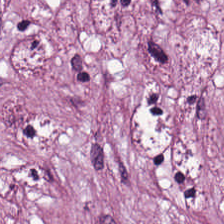Predominantly tumor-associated stroma.
